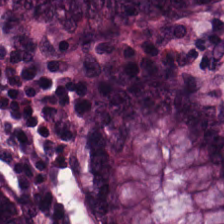H&E stain — Q: What tissue is shown?
A: Benign colonic mucosa.
